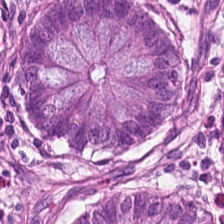Hematoxylin-and-eosin stained section.
Normal colon mucosa.
